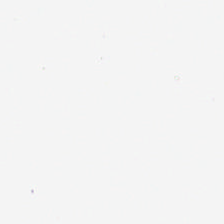Hematoxylin and eosin — Empty field — no tissue.
